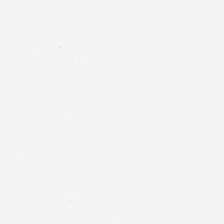Finding → background.
